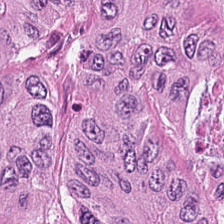H&E-stained tissue section.
Predominant tissue — malignant epithelium.
